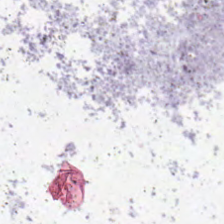Hematoxylin and eosin — {"content": "background (no tissue)"}
